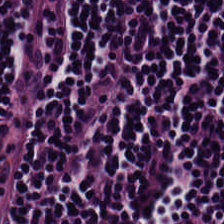{"tissue_type": "lymphocytic infiltrate"}
